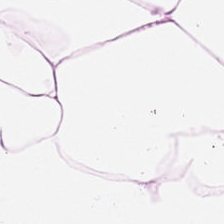Whole-slide-image patch · 224×224 px tile · H&E-stained tissue section. Tissue class: fat tissue.
